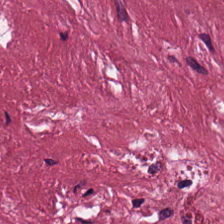Q: What is shown in this field?
A: It is tumor-associated stroma.
